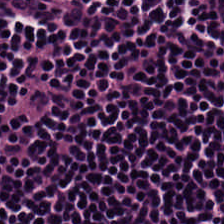FFPE tissue section. 0.5 µm per pixel. H&E-stained tissue section — Q: What tissue is shown?
A: It is lymphoid infiltrate.
